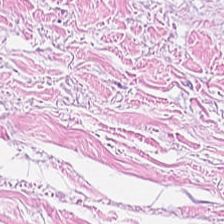Hematoxylin and eosin · 224×224 px tile · 0.5 µm/px — The classification is tumor-associated stroma.
